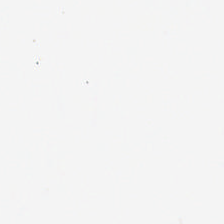H&E-stained tissue section. Q: What does this patch show?
A: The field shows background.
